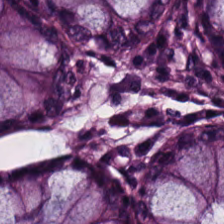Stain: H&E stain.
Tile size: 224×224 px tile.
Tissue: non-neoplastic colon mucosa.
